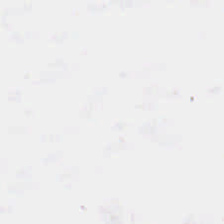H&E-stained tissue section. Classification = background.
